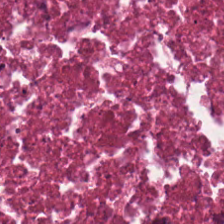0.5 microns per pixel; FFPE; H&E.
Q: What tissue type is shown here?
A: This is necrotic debris.
